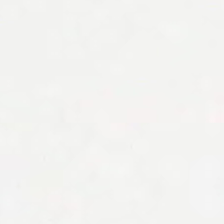H&E · 224×224 px tile · 0.5 µm per pixel.
Field content: background (no tissue).
